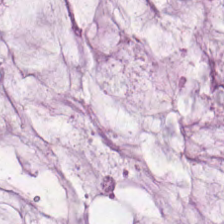Tissue: mucin.
